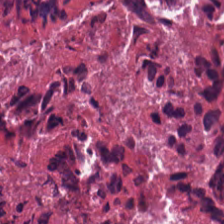Stain: hematoxylin and eosin.
Resolution: 0.5 µm per pixel.
Tissue: debris.
